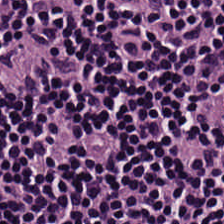Impression — lymphoid infiltrate.
